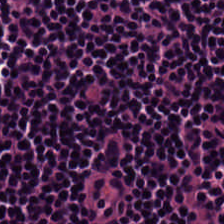Stain: H&E-stained tissue section.
Tissue class: lymphocytic infiltrate.
